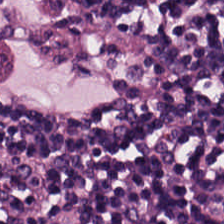H&E stain. Showing lymphoid infiltrate.
